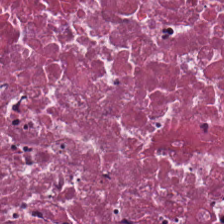The classification is necrotic debris.
